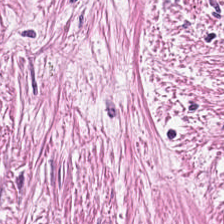H&E stain. Histology → cancer-associated stroma.
